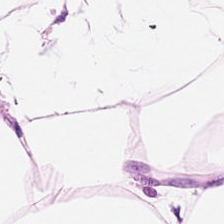0.5 µm per pixel; hematoxylin and eosin. Tissue type — adipose.
